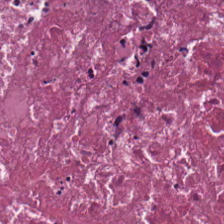H&E — Necrotic debris.
